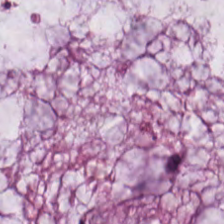Hematoxylin-and-eosin stained section. Tissue class = mucin.
